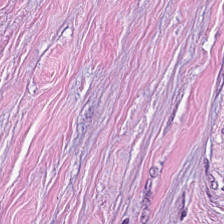Hematoxylin-and-eosin stained section. {"tissue_type": "cancer-associated stroma"}
